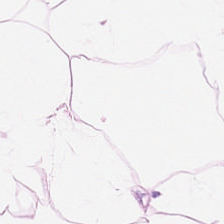0.5 µm per pixel. H&E-stained tissue section. Whole-slide-image patch. Showing fat tissue.
